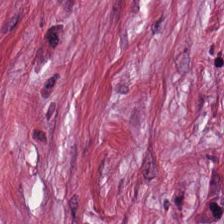Stain: hematoxylin-and-eosin stained section.
Tissue class: tumor stroma.
